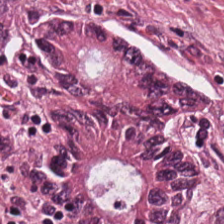Hematoxylin-and-eosin stained section.
Predominant tissue: colorectal adenocarcinoma.
